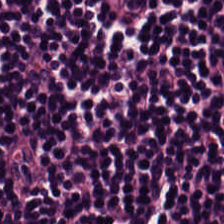H&E-stained tissue section. Q: What is shown here?
A: It is lymphocytes.
